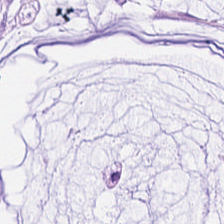WSI patch. H&E-stained tissue section — Classification — mucus.
